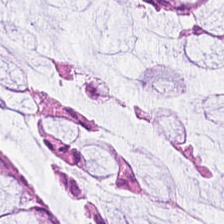Q: What is the predominant tissue type?
A: It is non-neoplastic colon mucosa.
